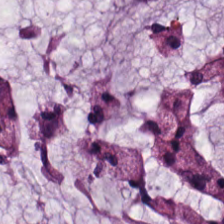H&E stain — Q: What does this patch show?
A: This is mucin.
